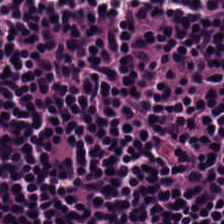20× equivalent magnification. 224×224 pixel tile. Hematoxylin and eosin. Q: What is shown here?
A: The field shows lymphoid infiltrate.
